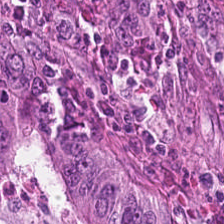Whole-slide-image patch · hematoxylin and eosin. The predominant tissue is malignant epithelium.
